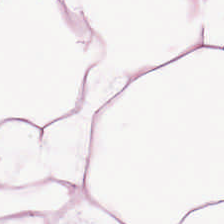H&E. Brightfield. FFPE tissue section — {"tissue_type": "adipocytes"}
